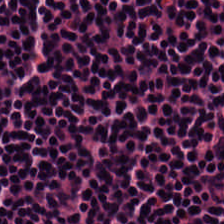H&E.
The tissue here is lymphocytic infiltrate.
